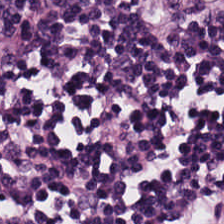Predominantly lymphocytic infiltrate.
